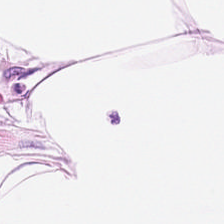H&E stain · 20× equivalent magnification. Tissue type = adipocytes.
